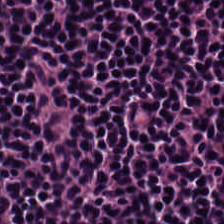H&E stain. Q: Classify this patch.
A: The field shows lymphoid infiltrate.
